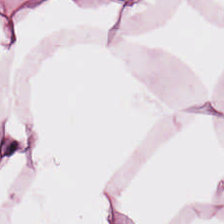224×224 pixel tile; H&E-stained tissue section — Showing adipose tissue.
